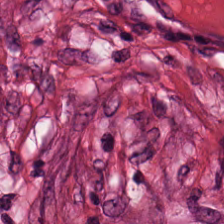H&E stain. The tissue here is cancer-associated stroma.
